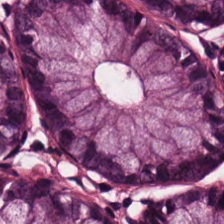Hematoxylin and eosin. Classification: normal colonic mucosa.
